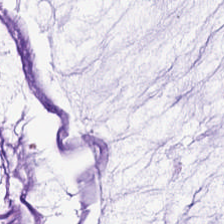Mucin.
